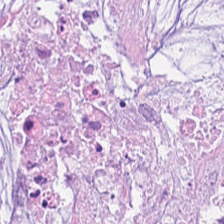FFPE · H&E stain — Finding — mucin.
